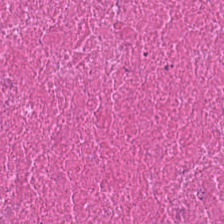Stain: H&E stain.
Tissue: cellular debris.
